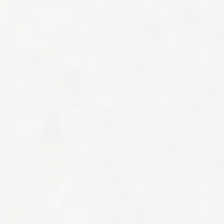Formalin-fixed paraffin-embedded section; hematoxylin-and-eosin stained section; 0.5 microns per pixel — Q: What is shown here?
A: It is background (no tissue).
